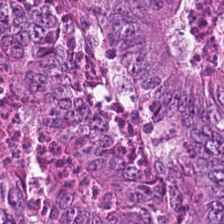224×224 px tile · H&E stain.
Q: What is shown in this field?
A: Malignant epithelium.
